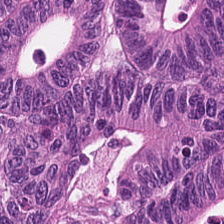H&E. This field is adenocarcinoma.
